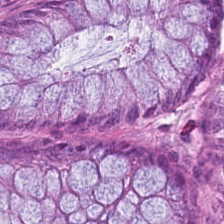H&E-stained tissue section. Formalin-fixed paraffin-embedded section — Predominantly benign colonic mucosa.
